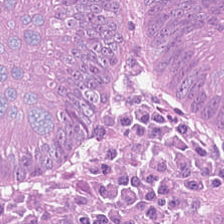Hematoxylin and eosin · WSI patch. The tissue here is malignant epithelium.
